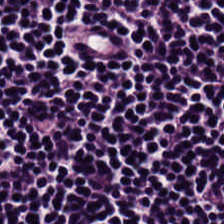Hematoxylin-and-eosin section: lymphocytic infiltrate.
